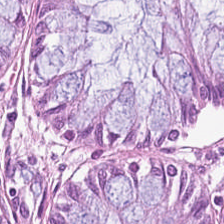Q: What does this patch show?
A: The field shows benign colonic mucosa.
